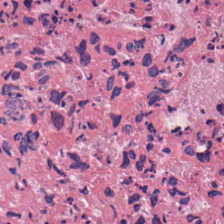Brightfield. Hematoxylin-and-eosin stained section.
The predominant tissue is necrotic debris.
